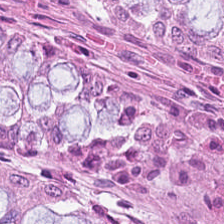Histology — non-neoplastic colon mucosa.
